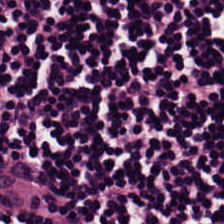WSI patch; hematoxylin-and-eosin stained section.
This field is lymphocyte aggregate.
